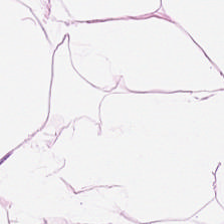H&E stain — This field is adipocytes.
